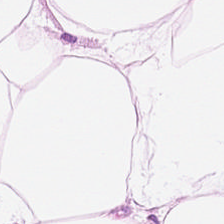H&E-stained tissue section — Tissue type — fat tissue.
